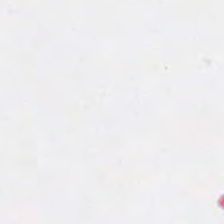H&E. Classification = no tissue.
